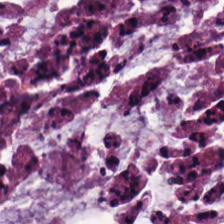224×224 pixel tile; H&E — Tissue class: mucus.
